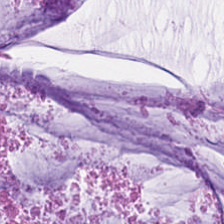H&E-stained tissue section — {"tissue_type": "mucin"}
